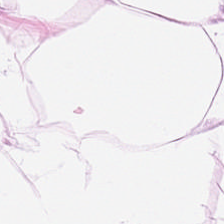0.5 µm per pixel. H&E stain. {"tissue_type": "adipose"}
